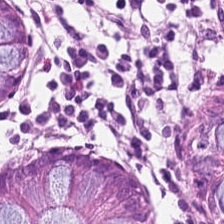The tissue here is benign colonic mucosa.
